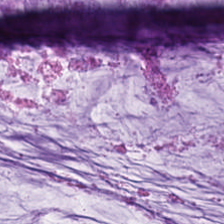H&E stain. {"tissue_type": "mucus"}
